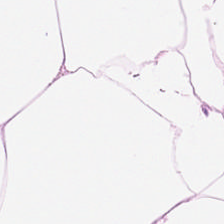H&E stain. Tissue type = adipose.
